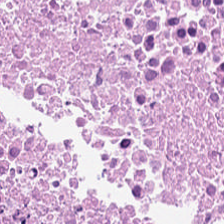Hematoxylin-and-eosin stained section.
This patch shows cellular debris.
